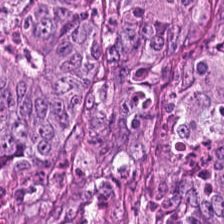224×224 px tile; hematoxylin and eosin — Q: What type of tissue is this?
A: Colorectal adenocarcinoma epithelium.
